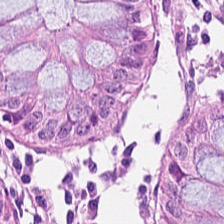Stain: hematoxylin-and-eosin stained section.
Predominant tissue: normal colonic mucosa.
